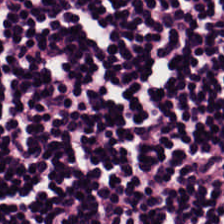H&E-stained section; the field shows lymphocytic infiltrate.
